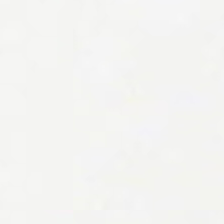No tissue present; background only.
